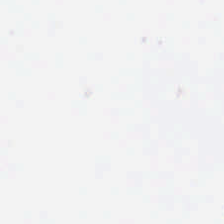H&E-stained tissue section — Q: What is shown here?
A: This is no tissue.
